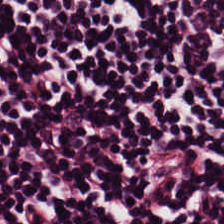H&E — Histology → lymphoid infiltrate.
